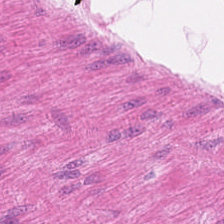Hematoxylin-and-eosin stained section — Tissue = smooth-muscle tissue.
